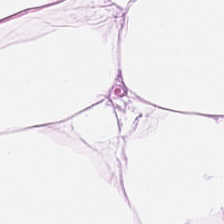Predominant tissue — adipose tissue.
